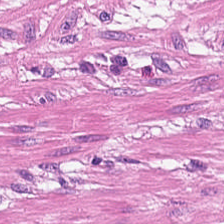This patch shows smooth-muscle tissue.
